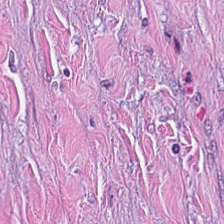H&E. Histology — desmoplastic stroma.
